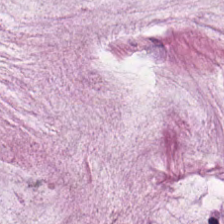Hematoxylin-and-eosin stained section — Predominant tissue — mucin.
